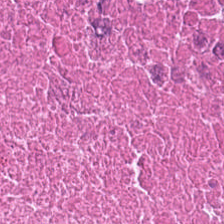H&E.
The tissue here is cellular debris.
